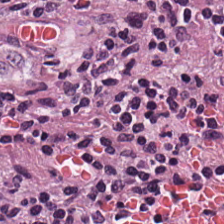The predominant tissue is lymphocytes.
